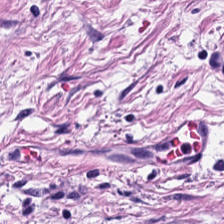FFPE tissue section. Hematoxylin and eosin.
Tissue = tumor stroma.
